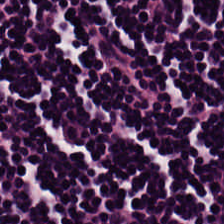224×224 px tile; FFPE tissue section; H&E stain. Showing lymphoid infiltrate.
